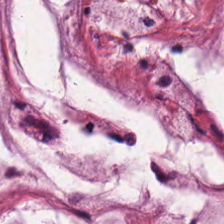H&E — extracellular mucin.
